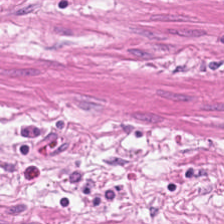H&E-stained tissue section.
Predominantly smooth-muscle tissue.
